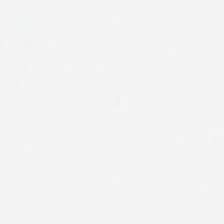20× equivalent magnification. H&E-stained tissue section — Background — no tissue in this field.
